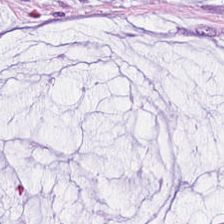H&E; 224×224 px tile. Tissue type — mucus.
